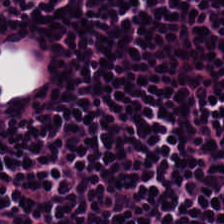H&E-stained section; the field shows lymphocytes.
